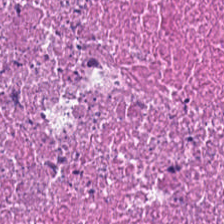This patch shows necrotic debris.
